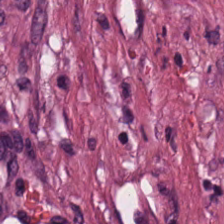Hematoxylin and eosin. This patch shows desmoplastic stroma.
